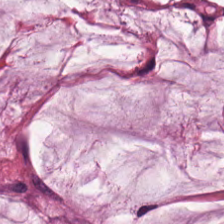WSI patch; hematoxylin-and-eosin stained section — Histology — extracellular mucin.
